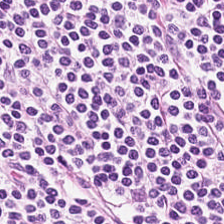Hematoxylin-and-eosin stained section.
The tissue class is lymphoid infiltrate.
